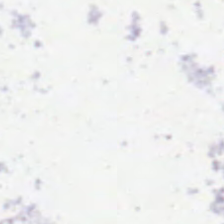FFPE · brightfield microscopy · H&E stain. No tissue present; background only.
